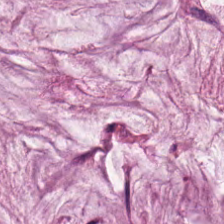{"tissue_type": "mucus"}
